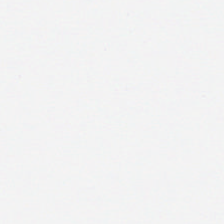FFPE tissue section · H&E-stained tissue section. Background — no tissue in this field.
